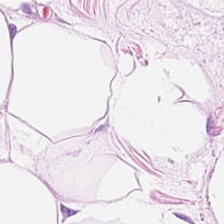H&E stain — Tissue — adipose tissue.
